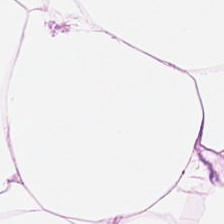Q: What is shown here?
A: The field shows adipose tissue.
